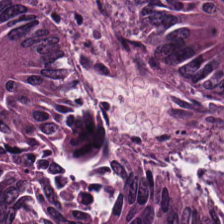Q: What does this patch show?
A: This is malignant epithelium.
